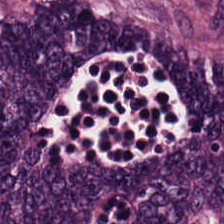WSI patch; hematoxylin-and-eosin stained section — Q: What tissue type is shown here?
A: It is colorectal adenocarcinoma epithelium.
